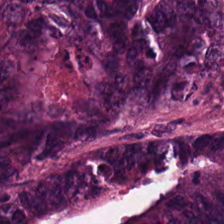Classification: colorectal adenocarcinoma.
